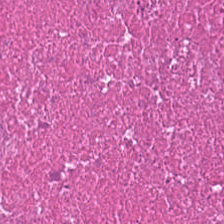This field is cellular debris.
